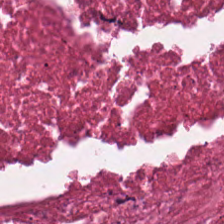Tissue class — cellular debris.
